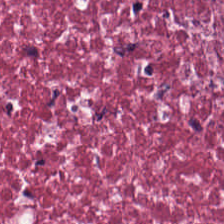224×224 px patch; H&E. This field is cancer-associated stroma.
